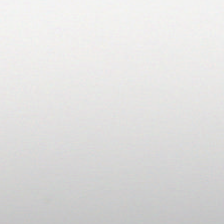Stain: hematoxylin-and-eosin stained section.
Classification: empty background.
